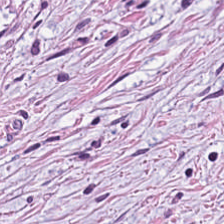224×224 px tile. FFPE. H&E.
Histology → tumor stroma.
